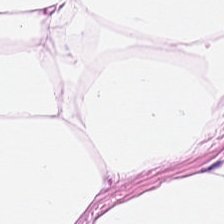H&E-stained tissue section. Whole-slide-image patch.
Histology → fat tissue.
